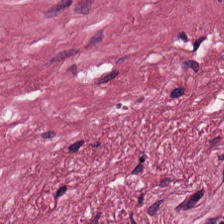H&E · 0.5 µm per pixel.
Predominantly cancer-associated stroma.
